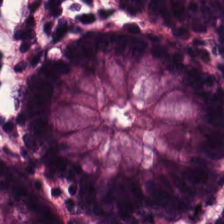H&E-stained tissue section; WSI patch — Q: What is shown here?
A: It is non-neoplastic colon mucosa.
